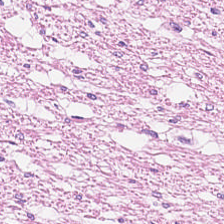Hematoxylin and eosin · 224×224 pixel tile · 0.5 microns per pixel — This patch shows smooth-muscle tissue.
